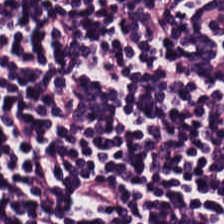{"tissue_type": "lymphocytic infiltrate"}
